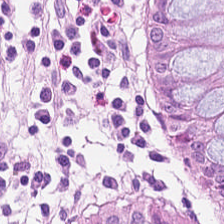The tissue type is benign colonic mucosa.
